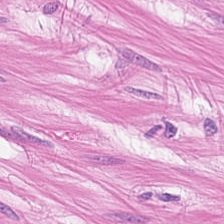Stain: H&E-stained tissue section.
Acquisition: whole-slide-image patch.
Tile size: 224×224 px tile.
Predominant tissue: muscularis.
